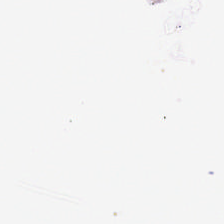Stain: H&E-stained tissue section.
Classification: background (no tissue).
